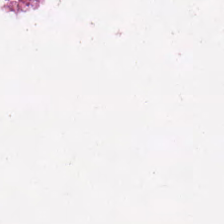Hematoxylin-and-eosin section: debris.
